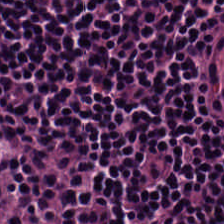Q: Classify this patch.
A: This is lymphocyte aggregate.
